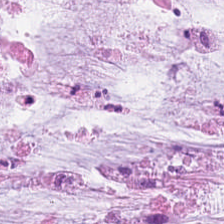Stain: H&E stain.
Tile size: 224×224 pixel tile.
Preparation: FFPE.
Predominant tissue: mucus.
